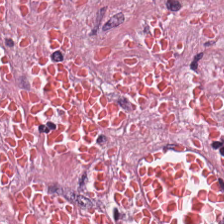H&E-stained tissue section — This patch shows cancer-associated stroma.
